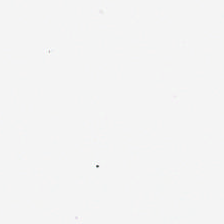{"content": "no tissue"}
